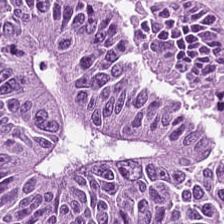H&E-stained section; the field shows colorectal adenocarcinoma.
